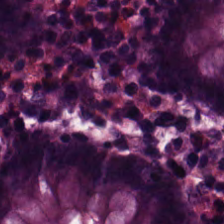H&E-stained section; the field shows normal colonic mucosa.
